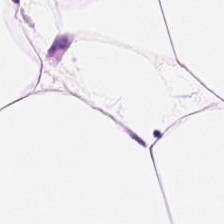Predominantly adipocytes.
